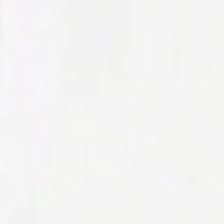H&E.
Q: What does this patch show?
A: No tissue.
